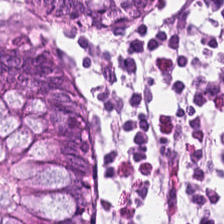H&E stain.
Finding → non-neoplastic colon mucosa.
